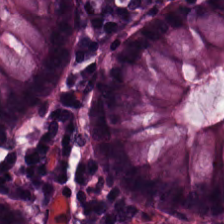H&E; 20× equivalent magnification. The predominant tissue is normal colon mucosa.
